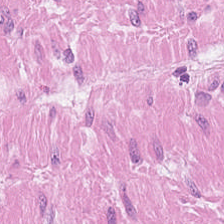H&E-stained tissue section. Q: What tissue type is shown here?
A: Smooth-muscle tissue.
